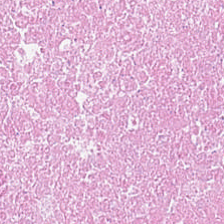Stain: H&E stain.
Tissue class: cellular debris.
